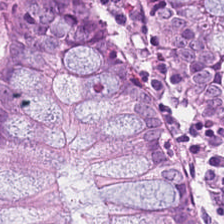Non-neoplastic colon mucosa.
